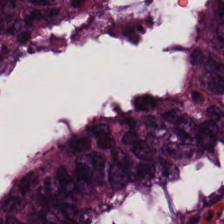Hematoxylin and eosin. The tissue here is colorectal adenocarcinoma epithelium.
